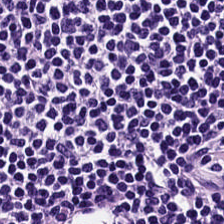H&E stain; 224×224 px tile; brightfield microscopy.
Finding → lymphocytic infiltrate.
